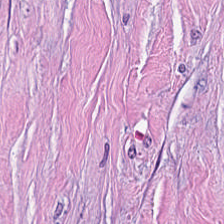H&E stain. This field is cancer-associated stroma.
